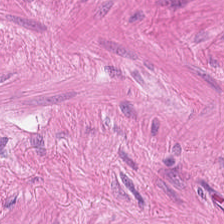H&E. 0.5 µm per pixel.
Q: What tissue type is shown here?
A: This is smooth muscle.
